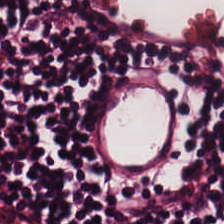Histology → lymphocytes.
